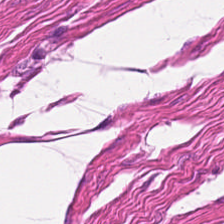Hematoxylin-and-eosin section: muscularis.
